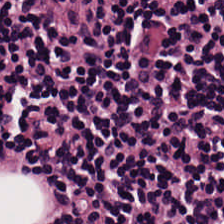Hematoxylin and eosin. This field is lymphocyte aggregate.
